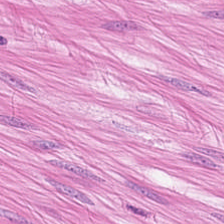Hematoxylin and eosin.
Q: What tissue is shown?
A: The field shows smooth-muscle tissue.
